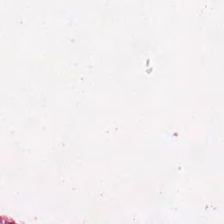224×224 px tile. Hematoxylin and eosin.
Debris.
